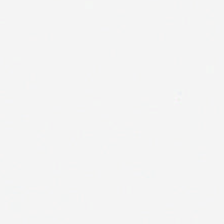Hematoxylin and eosin — Field content — no tissue.
